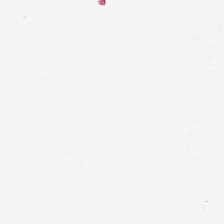20× equivalent magnification · hematoxylin and eosin.
Field content: background.
